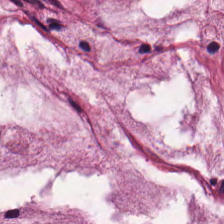Finding → extracellular mucin.
